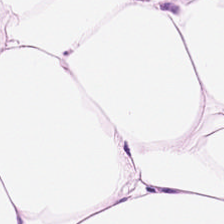0.5 µm per pixel; FFPE tissue section; H&E.
Histology — adipocytes.
